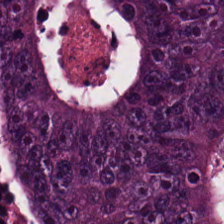Tissue = tumor epithelium.
